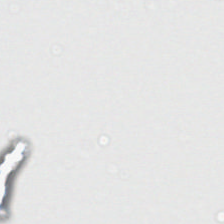Stain: H&E stain.
Content: background (no tissue).
